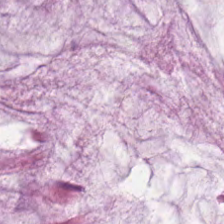H&E-stained tissue section. Q: Classify this patch.
A: This is mucus.
